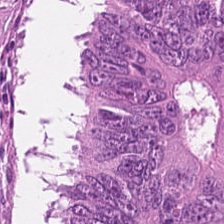Stain: H&E stain.
Tissue type: colorectal adenocarcinoma epithelium.
